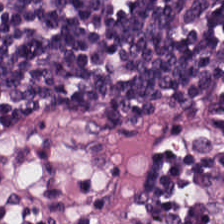H&E stain — Q: Classify this patch.
A: The field shows lymphoid infiltrate.
